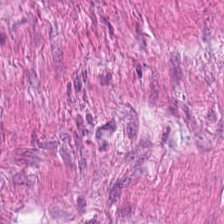Hematoxylin and eosin. Finding → smooth muscle.
